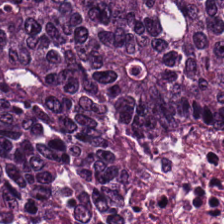FFPE tissue section; whole-slide-image patch; hematoxylin and eosin — Impression → adenocarcinoma.
